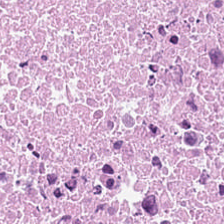Finding → necrotic debris.
